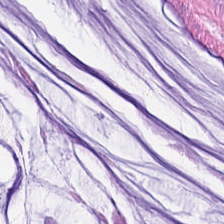Hematoxylin-and-eosin stained section.
Tissue type: mucin.
